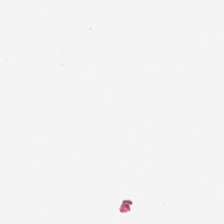Hematoxylin-and-eosin stained section. No tissue present; background only.
